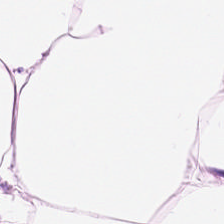H&E — {"tissue_type": "adipose tissue"}
